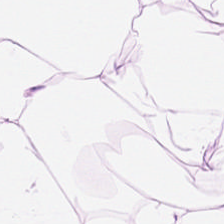Q: What type of tissue is this?
A: The field shows adipose.
